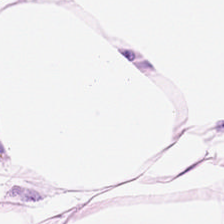H&E-stained tissue section — Predominantly adipose tissue.
